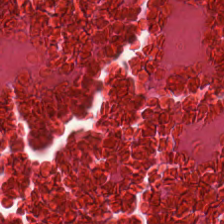The predominant tissue is debris.
